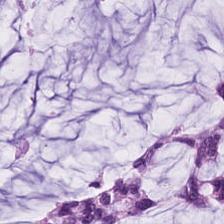H&E-stained tissue section. Mucus.
